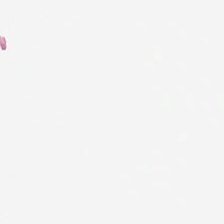Stain: hematoxylin and eosin.
Acquisition: brightfield.
Content: background (no tissue).
